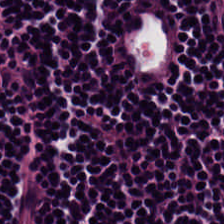Impression → lymphocytes.
